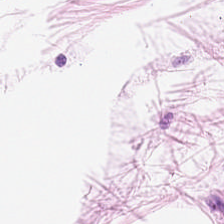Hematoxylin and eosin. Q: Identify the tissue.
A: It is fat tissue.
